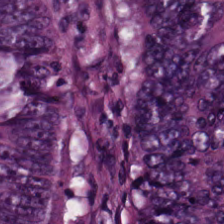Hematoxylin and eosin — Tissue class = malignant epithelium.
